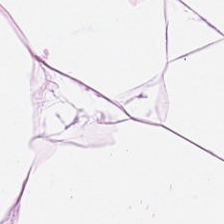Hematoxylin and eosin — Tissue type = adipose.
